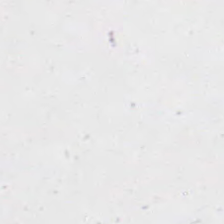H&E stain — This field is background (no tissue).
